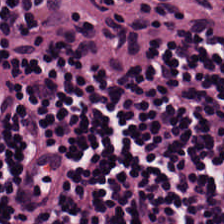H&E stain.
Lymphocytes.
